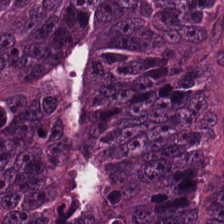Stain: hematoxylin and eosin.
Tissue: colorectal adenocarcinoma epithelium.
